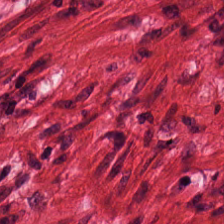H&E.
Predominant tissue — muscularis.
